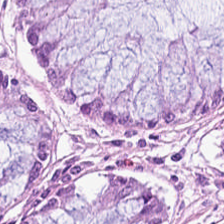Hematoxylin and eosin. The predominant tissue is benign colonic mucosa.
